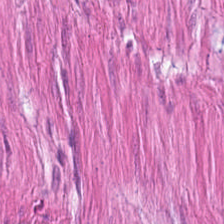Stain: H&E.
Resolution: 0.5 µm/px.
Tile size: 224×224 px patch.
Tissue type: smooth muscle.
